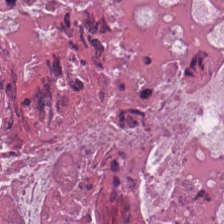0.5 µm/px. Brightfield microscopy. Hematoxylin and eosin.
Q: Classify this patch.
A: This is cellular debris.
